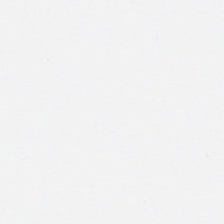H&E-stained tissue section.
No tissue present; background only.
